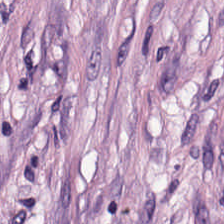Impression — desmoplastic stroma.
